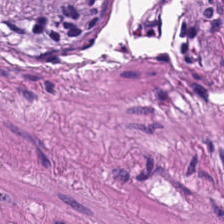Hematoxylin-and-eosin stained section — Showing smooth muscle.
